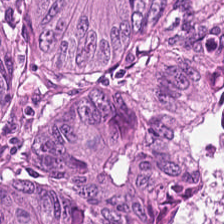H&E-stained tissue section — Predominantly colorectal adenocarcinoma epithelium.
